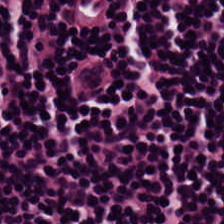H&E-stained tissue section · 20× equivalent magnification — Lymphocytic infiltrate.
